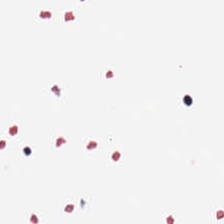Background.
